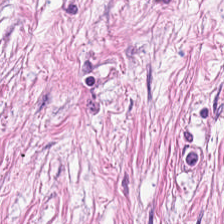WSI patch. Hematoxylin and eosin.
Showing tumor-associated stroma.
